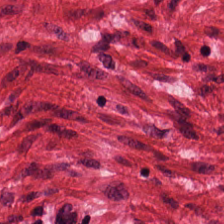H&E stain. FFPE tissue section — Finding — smooth-muscle tissue.
